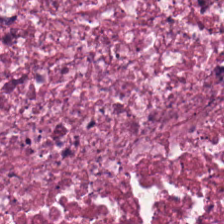H&E stain · 20× equivalent magnification. Histology → cellular debris.
